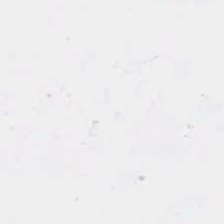Stain: H&E.
Preparation: FFPE tissue section.
Content: empty background.
